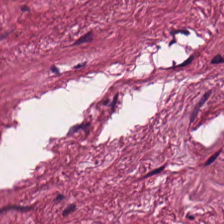224×224 pixel tile; H&E-stained tissue section. {"tissue_type": "desmoplastic stroma"}
